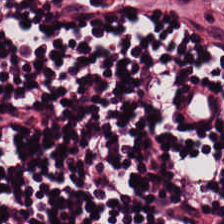Classification: lymphoid infiltrate.
